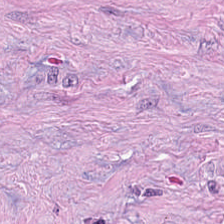20× equivalent magnification; H&E — {"tissue_type": "tumor stroma"}
